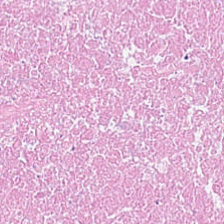Hematoxylin-and-eosin stained section. This patch shows debris.
